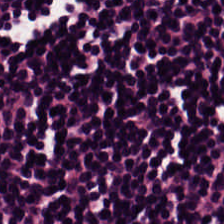This field is lymphocytes.
